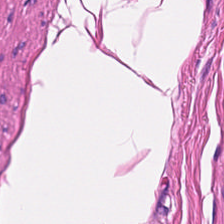Histology → smooth muscle.
